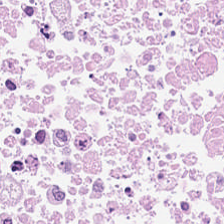Hematoxylin-and-eosin stained section. This patch shows necrotic debris.
